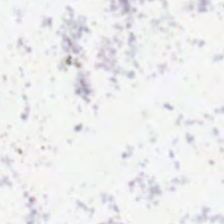Hematoxylin and eosin — This field is background (no tissue).
